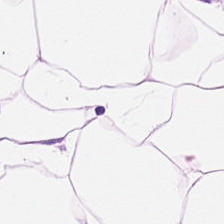Whole-slide-image patch. 0.5 µm/px. Hematoxylin-and-eosin stained section — Showing adipose tissue.
